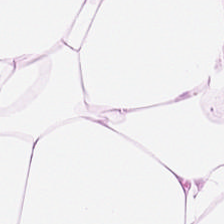H&E-stained section; the field shows adipose tissue.
